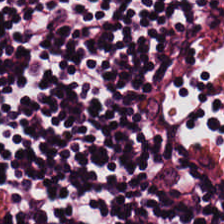Finding — lymphocyte aggregate.
